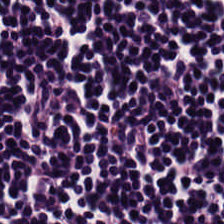H&E-stained tissue section.
Lymphoid infiltrate.
